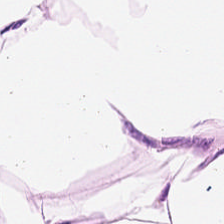H&E stain. This field is adipose.
